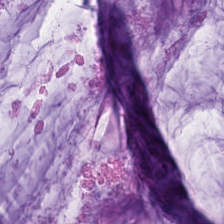Q: What tissue type is shown here?
A: Mucin.
